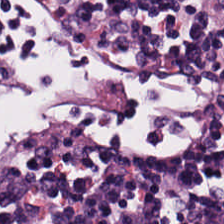H&E stain. 0.5 µm per pixel.
The predominant tissue is lymphoid infiltrate.
